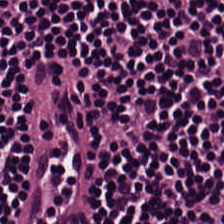H&E stain · brightfield microscopy · 224×224 px tile.
Tissue type: lymphoid infiltrate.
